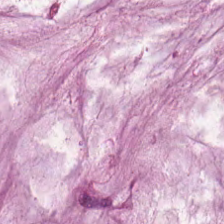Hematoxylin and eosin.
Extracellular mucin.
